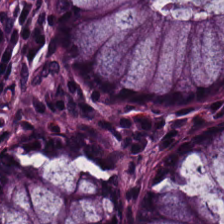Stain: H&E-stained tissue section.
Preparation: formalin-fixed paraffin-embedded section.
Acquisition: brightfield.
Predominant tissue: non-neoplastic colon mucosa.
